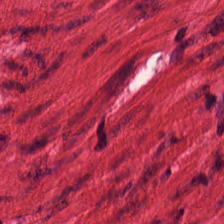H&E stain — Q: Identify the tissue.
A: It is smooth muscle.
